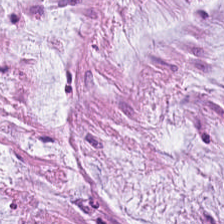H&E stain. Predominantly mucus.
